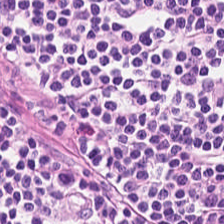H&E-stained tissue section. This field is lymphocyte aggregate.
